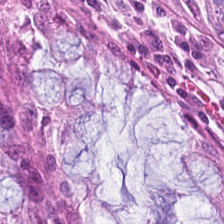H&E-stained tissue section — The tissue here is normal colonic mucosa.
